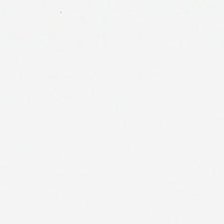No tissue present; background only.
